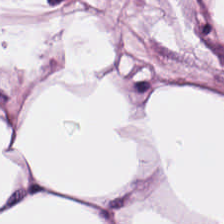0.5 µm/px · hematoxylin and eosin — This field is adipose tissue.
